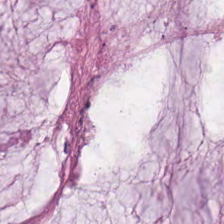Brightfield microscopy · H&E stain · 224×224 px patch — The classification is extracellular mucin.
